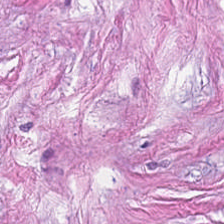Stain: hematoxylin-and-eosin stained section.
Predominant tissue: desmoplastic stroma.
